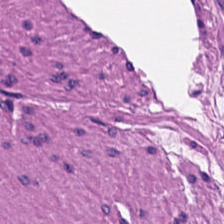0.5 µm/px. Formalin-fixed paraffin-embedded section. H&E-stained tissue section — This patch shows smooth muscle.
